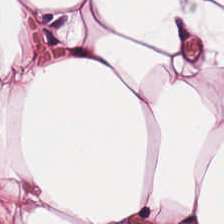This patch shows fat tissue.
